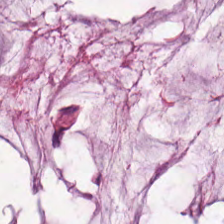H&E stain.
Q: What is the predominant tissue type?
A: This is mucus.
